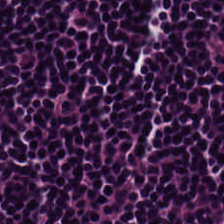H&E-stained tissue section — Showing lymphocyte aggregate.
